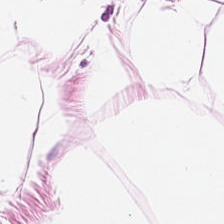Hematoxylin and eosin · 224×224 pixel tile · FFPE tissue section. Impression → adipose tissue.
